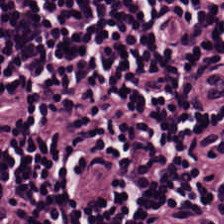224×224 pixel tile. Hematoxylin and eosin. 0.5 microns per pixel.
Q: What does this patch show?
A: This is lymphocytic infiltrate.
